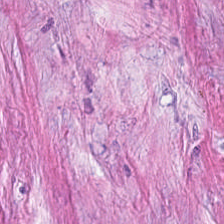H&E-stained tissue section. Predominantly tumor stroma.
